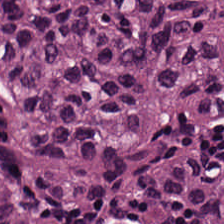Stain: H&E.
Preparation: FFPE tissue section.
Predominant tissue: tumor epithelium.
